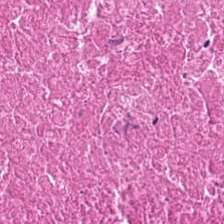{"tissue_type": "necrotic debris"}
